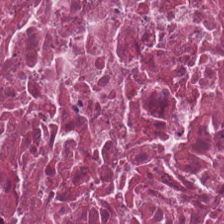224×224 px patch. Hematoxylin-and-eosin stained section. This patch shows necrotic debris.
